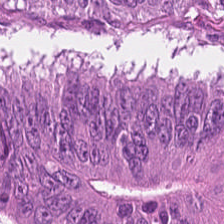Hematoxylin and eosin; 224×224 px patch.
{"tissue_type": "colorectal adenocarcinoma epithelium"}
